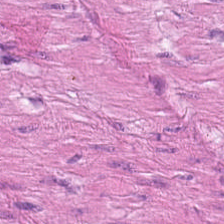H&E stain — The classification is smooth muscle.
